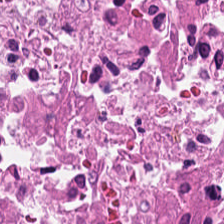224×224 px tile · H&E stain · FFPE tissue section.
Classification — cellular debris.
